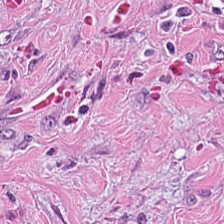H&E — This patch shows cancer-associated stroma.
